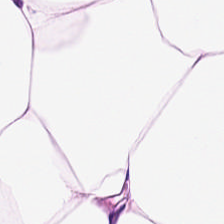H&E stain — Predominantly adipocytes.
